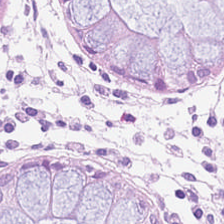20× equivalent magnification; H&E-stained tissue section; brightfield microscopy.
Q: What type of tissue is this?
A: Normal colon mucosa.
